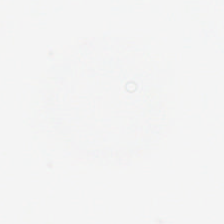Q: Classify this patch.
A: It is empty background.
